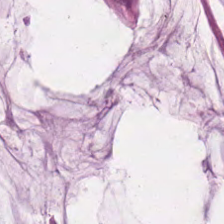H&E-stained tissue section · 224×224 px patch.
Predominantly extracellular mucin.
